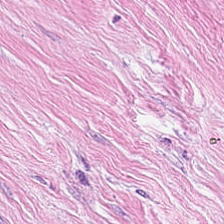Brightfield microscopy · 0.5 µm per pixel · H&E-stained tissue section — Showing desmoplastic stroma.
